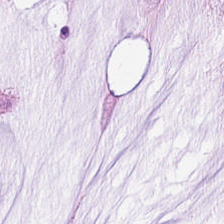Hematoxylin and eosin.
Finding — mucus.
